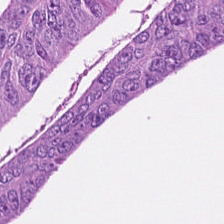Hematoxylin-and-eosin stained section — Histology → colorectal adenocarcinoma epithelium.
